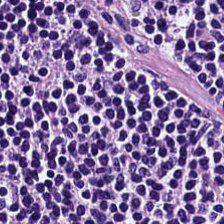Hematoxylin and eosin. Finding → lymphoid infiltrate.
